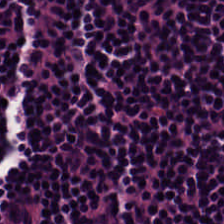Q: What is shown in this field?
A: It is lymphoid infiltrate.
